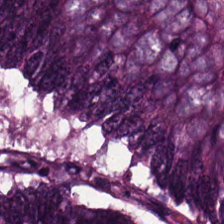Hematoxylin-and-eosin stained section. 0.5 microns per pixel — Finding — colorectal adenocarcinoma epithelium.
